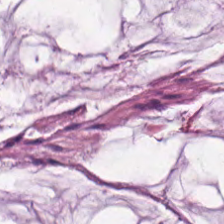Q: Classify this patch.
A: Mucin.
